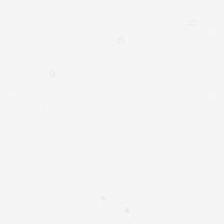H&E stain.
Background — no tissue in this field.
